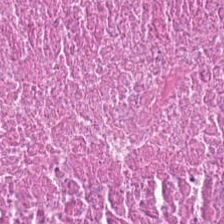Q: What does this patch show?
A: The field shows cellular debris.
